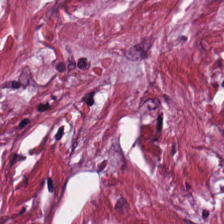H&E patch showing cancer-associated stroma.
